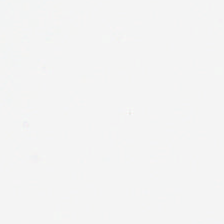No tissue present; background only.
